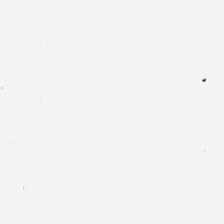Stain: H&E-stained tissue section.
Tile size: 224×224 pixel tile.
Acquisition: WSI patch.
Classification: background.
